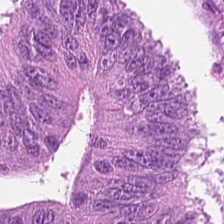The predominant tissue is malignant epithelium.
